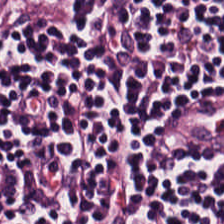Hematoxylin and eosin — This field is lymphocytes.
